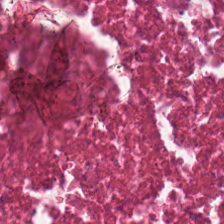Q: What type of tissue is this?
A: The field shows debris.
